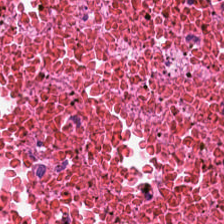H&E-stained tissue section.
Predominantly necrotic debris.
